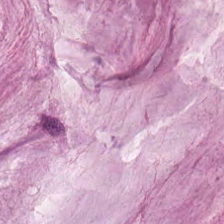Stain: hematoxylin-and-eosin stained section.
Tile size: 224×224 px tile.
Classification: extracellular mucin.
